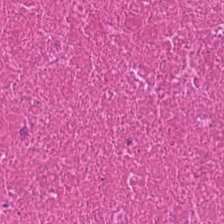0.5 µm per pixel · FFPE · H&E — Tissue = necrotic debris.
